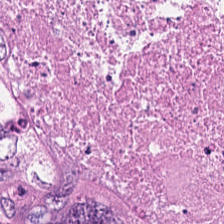Hematoxylin-and-eosin stained section.
This patch shows debris.
